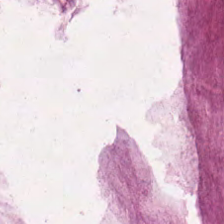Stain: H&E stain.
Tissue class: extracellular mucin.
